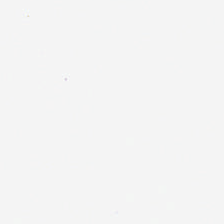0.5 µm per pixel; hematoxylin and eosin. The classification is empty background.
